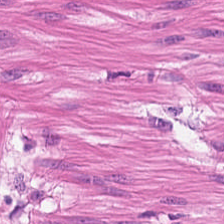H&E. Q: What is shown here?
A: It is smooth muscle.
